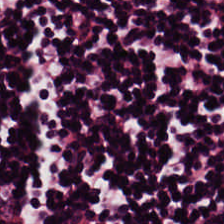Stain: hematoxylin-and-eosin stained section.
Tissue type: lymphocyte aggregate.
